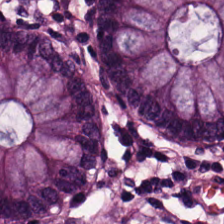Hematoxylin-and-eosin stained section. 224×224 pixel tile — Normal colonic mucosa.
